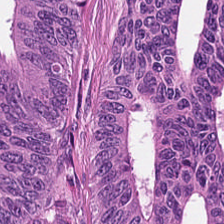Hematoxylin and eosin.
This field is colorectal adenocarcinoma epithelium.
